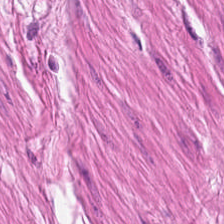Tissue class = muscularis.
